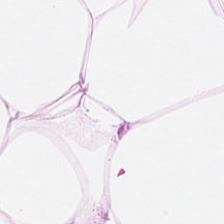Whole-slide-image patch; 224×224 pixel tile; H&E. Histology — adipose tissue.
